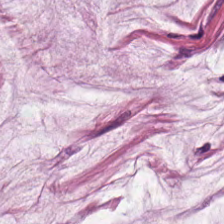H&E · 224×224 px patch. This patch shows extracellular mucin.
